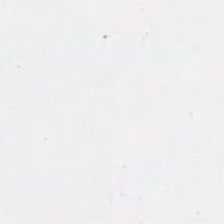No tissue present; background only.
